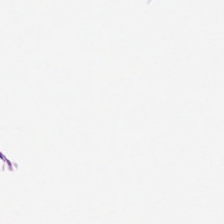Hematoxylin-and-eosin section: adipose tissue.
